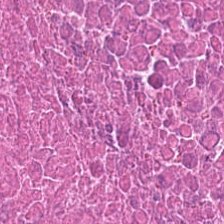Hematoxylin-and-eosin stained section. {"tissue_type": "cellular debris"}
